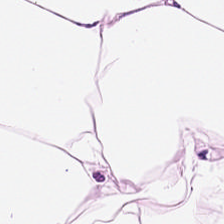H&E. 224×224 px patch. Brightfield. Q: What does this patch show?
A: It is adipocytes.
